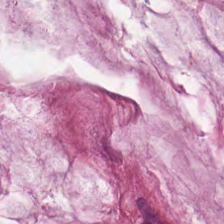Stain: hematoxylin and eosin.
Classification: mucus.
